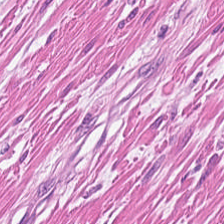Brightfield microscopy · hematoxylin and eosin · 20× equivalent magnification.
Q: What does this patch show?
A: Smooth-muscle tissue.
